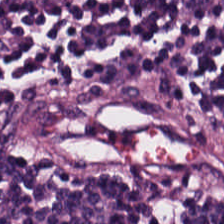Q: Identify the tissue.
A: Lymphocytes.
